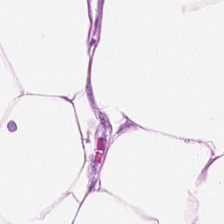Stain: H&E.
Tissue class: adipose.
